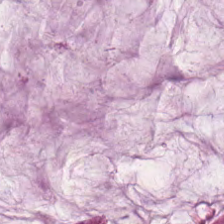Hematoxylin-and-eosin stained section. Predominantly mucus.
